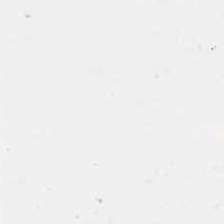Field content: empty background.
